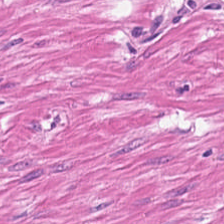Q: What tissue type is shown here?
A: This is muscularis.
